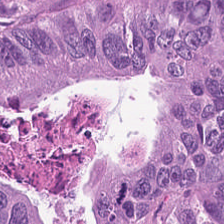FFPE; hematoxylin-and-eosin stained section. Tissue — colorectal adenocarcinoma.
